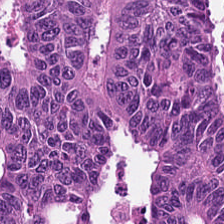Hematoxylin and eosin · brightfield microscopy · FFPE — Finding → tumor epithelium.
